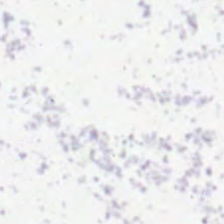H&E; 224×224 pixel tile; formalin-fixed paraffin-embedded section — Field content — background (no tissue).
